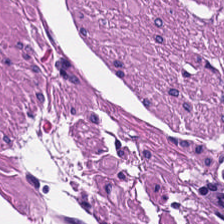H&E patch showing muscularis.
